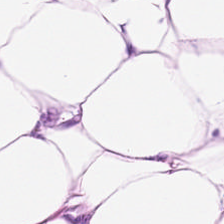Finding → adipose.
